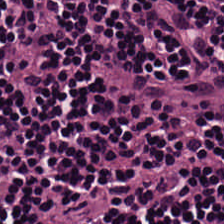H&E stain. Q: What tissue type is shown here?
A: The field shows lymphocyte aggregate.
